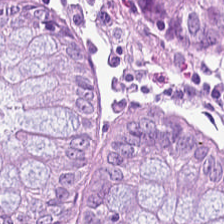Hematoxylin and eosin. Q: What type of tissue is this?
A: This is normal colonic mucosa.
